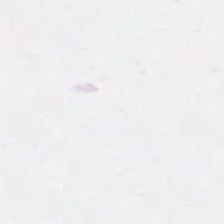H&E.
Content = empty background.
